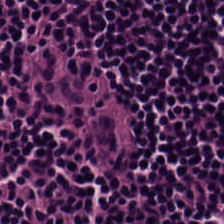H&E stain. 224×224 px patch — The tissue here is lymphoid infiltrate.
